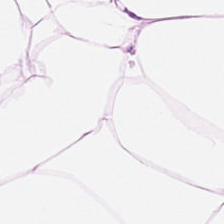Stain: hematoxylin-and-eosin stained section.
Tissue type: fat tissue.
